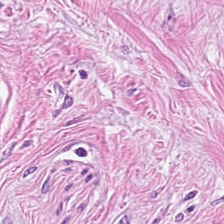This patch shows desmoplastic stroma.
